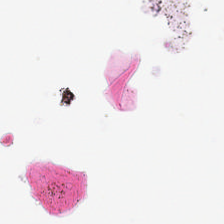{"content": "background (no tissue)"}
